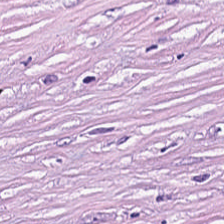The classification is tumor-associated stroma.
